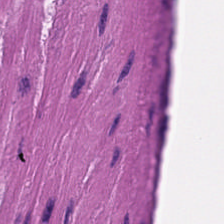H&E.
Showing smooth-muscle tissue.
